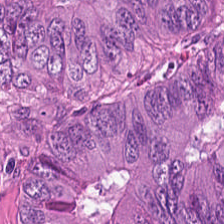Impression → colorectal adenocarcinoma epithelium.
